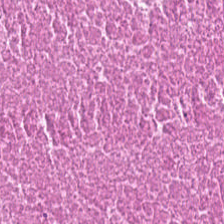H&E-stained tissue section; formalin-fixed paraffin-embedded section.
Predominant tissue: necrotic debris.
